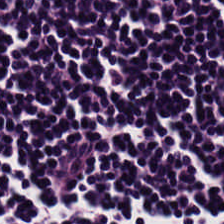H&E stain. Lymphocytic infiltrate.
